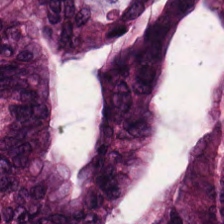The predominant tissue is adenocarcinoma.
